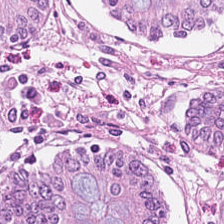Hematoxylin and eosin. Benign colonic mucosa.
